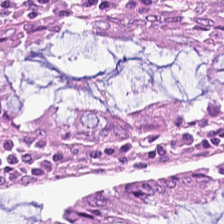Histology — normal colonic mucosa.
